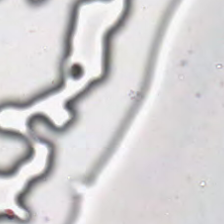Hematoxylin and eosin.
Background — no tissue in this field.
